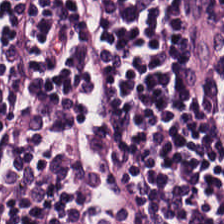Hematoxylin-and-eosin stained section. 224×224 px tile — The predominant tissue is lymphocyte aggregate.
